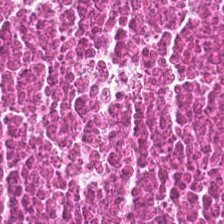H&E — The predominant tissue is necrotic debris.
